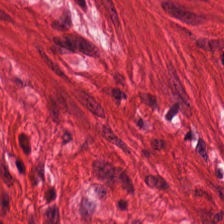Hematoxylin-and-eosin stained section. Predominantly muscularis.
